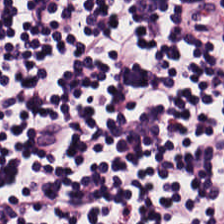H&E-stained tissue section. Histology — lymphocyte aggregate.
